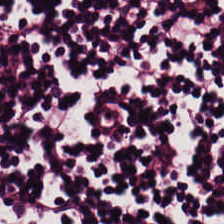H&E; 20× equivalent magnification — Tissue — lymphoid infiltrate.
